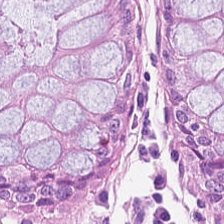0.5 µm per pixel · hematoxylin-and-eosin stained section. This patch shows normal colon mucosa.
